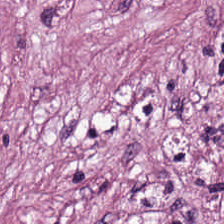20× equivalent magnification · 224×224 px tile · hematoxylin and eosin — Tissue — tumor stroma.
